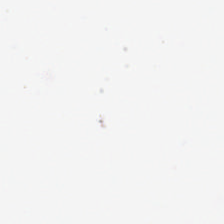Q: What is shown in this field?
A: The field shows background (no tissue).
